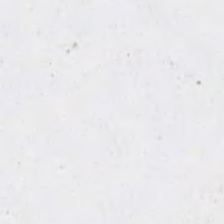H&E-stained tissue section. Background — no tissue in this field.
